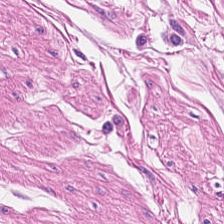H&E-stained tissue section. Impression — smooth muscle.
